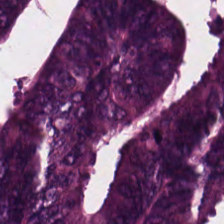H&E. Brightfield microscopy. 20× equivalent magnification. Q: What is the predominant tissue type?
A: Adenocarcinoma.
